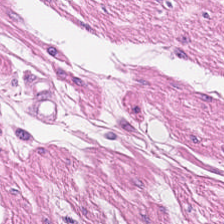H&E-stained tissue section.
The predominant tissue is smooth-muscle tissue.
